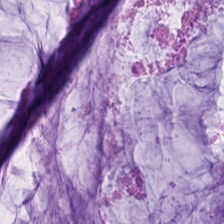Hematoxylin-and-eosin stained section. The predominant tissue is mucus.
